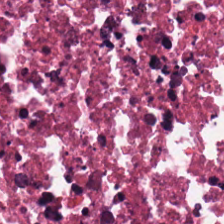Hematoxylin and eosin. This patch shows debris.
